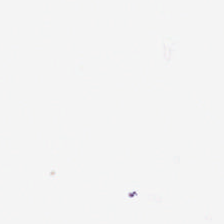Hematoxylin-and-eosin stained section. Q: What does this patch show?
A: It is background (no tissue).
